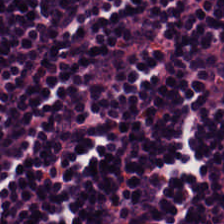Hematoxylin-and-eosin stained section. Whole-slide-image patch — Q: What tissue type is shown here?
A: The field shows lymphocytic infiltrate.
